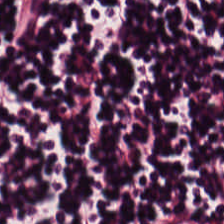Hematoxylin-and-eosin stained section — Lymphoid infiltrate.
